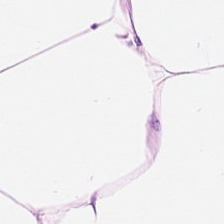H&E stain.
Tissue class — adipocytes.
